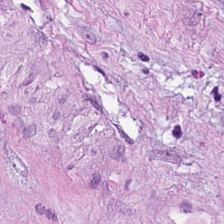Tissue type = desmoplastic stroma.
